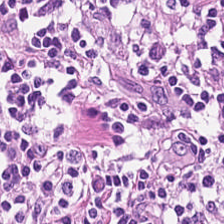{"tissue_type": "lymphocytic infiltrate"}
